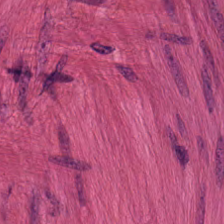Predominantly smooth muscle.
